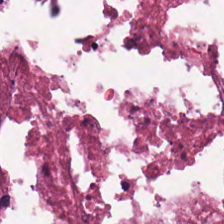H&E patch showing debris.
